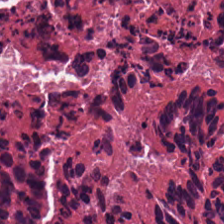H&E stain · whole-slide-image patch · 0.5 µm/px. Showing debris.
